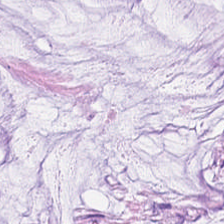H&E. The tissue class is mucin.
